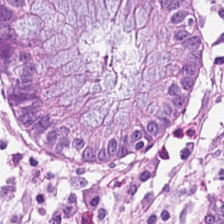H&E stain; 20× equivalent magnification. This field is non-neoplastic colon mucosa.
